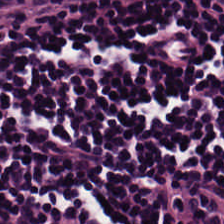Tissue — lymphocyte aggregate.
